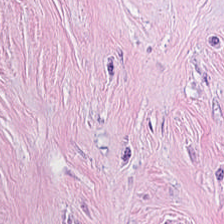The predominant tissue is tumor stroma.
